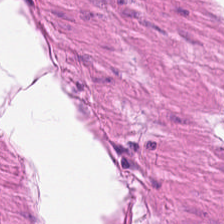Impression — smooth muscle.
